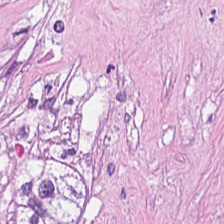Predominant tissue — debris.
